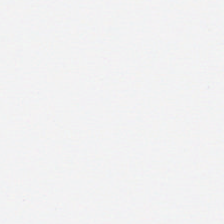Hematoxylin and eosin; FFPE tissue section.
No tissue present; background only.
